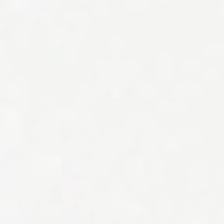Hematoxylin-and-eosin stained section; FFPE tissue section — This patch shows background (no tissue).
